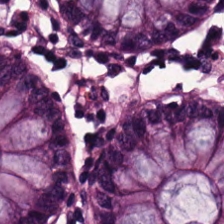Hematoxylin-and-eosin stained section; whole-slide-image patch; FFPE. This field is normal colon mucosa.
